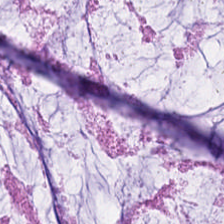224×224 px tile; brightfield; hematoxylin-and-eosin stained section.
Tissue type = mucin.
